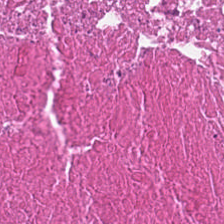224×224 px tile; formalin-fixed paraffin-embedded section; H&E stain.
The tissue here is debris.
